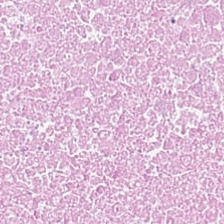Stain: H&E stain.
Tissue: cellular debris.
